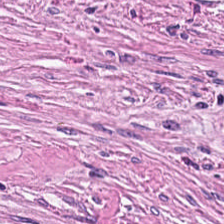Hematoxylin-and-eosin stained section. Q: Identify the tissue.
A: The field shows desmoplastic stroma.
